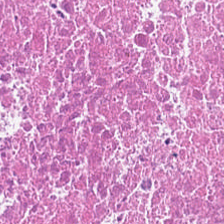H&E-stained tissue section; 0.5 microns per pixel; 224×224 px patch — Tissue type = debris.
